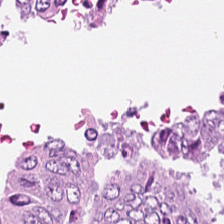H&E-stained tissue section. Finding — colorectal adenocarcinoma epithelium.
